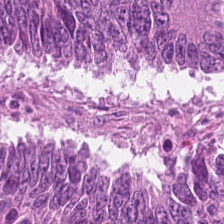H&E — Tumor epithelium.
